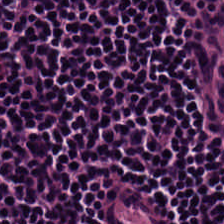Brightfield microscopy; 224×224 px patch; hematoxylin-and-eosin stained section.
This patch shows lymphocytic infiltrate.
